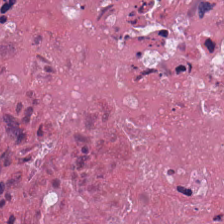H&E-stained tissue section. Q: What type of tissue is this?
A: Cellular debris.
